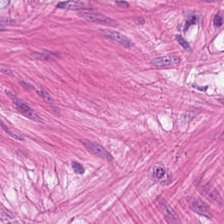Formalin-fixed paraffin-embedded section · H&E — This patch shows smooth muscle.
